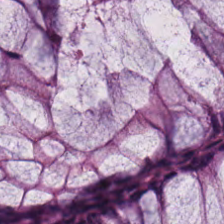H&E stain — The predominant tissue is benign colonic mucosa.
